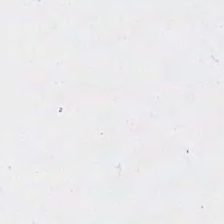H&E-stained tissue section. The field content is background (no tissue).
